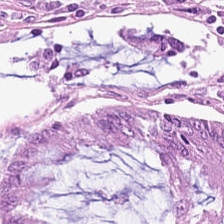Histology — benign colonic mucosa.
